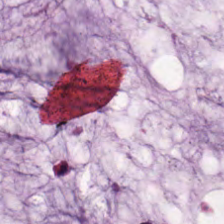Hematoxylin-and-eosin stained section — The tissue here is mucin.
